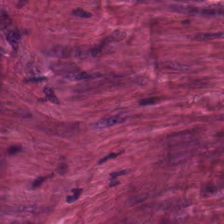Stain: H&E-stained tissue section.
Classification: cancer-associated stroma.
